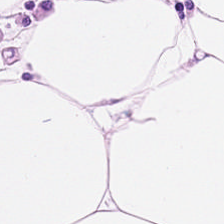H&E stain. The predominant tissue is adipose.
